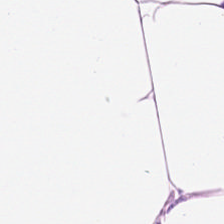Predominantly adipose tissue.
